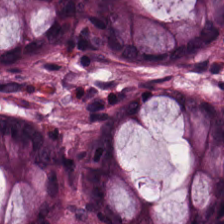H&E stain — Predominantly non-neoplastic colon mucosa.
